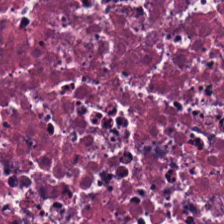0.5 microns per pixel. H&E — Q: What is shown in this field?
A: Cellular debris.
